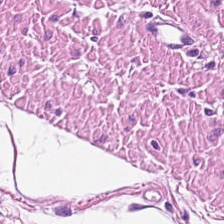H&E stain.
Classification — muscularis.
